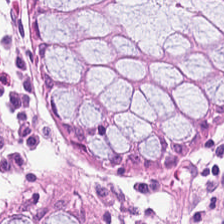The predominant tissue is benign colonic mucosa.
